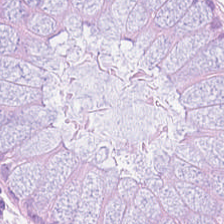Formalin-fixed paraffin-embedded section · 224×224 px tile · H&E stain.
Q: Classify this patch.
A: The field shows normal colonic mucosa.
